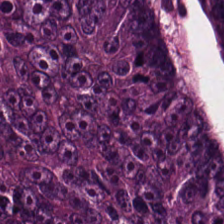Formalin-fixed paraffin-embedded section · hematoxylin and eosin — Q: What type of tissue is this?
A: This is adenocarcinoma.
